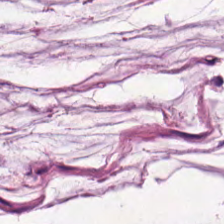H&E — Tissue = mucus.
